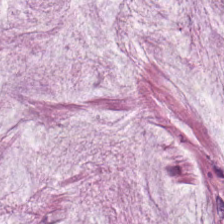Q: What tissue is shown?
A: The field shows extracellular mucin.
